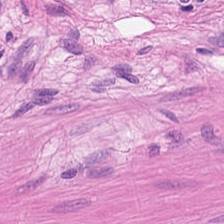H&E stain — Muscularis.
